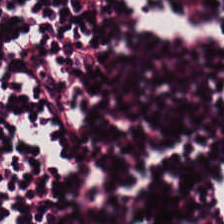Hematoxylin and eosin. {"tissue_type": "lymphocytes"}
